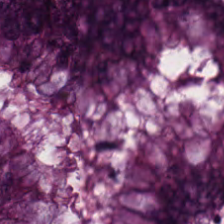0.5 microns per pixel · H&E-stained tissue section.
Q: What is shown in this field?
A: The field shows normal colon mucosa.
